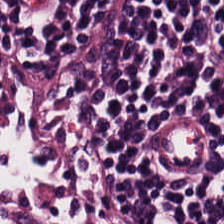Hematoxylin-and-eosin stained section — Tissue type — lymphocytic infiltrate.
